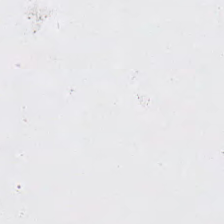H&E-stained tissue section. Q: What does this patch show?
A: Empty background.
